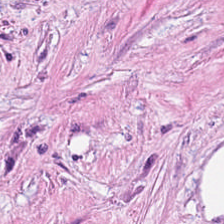224×224 px patch; hematoxylin and eosin.
The predominant tissue is desmoplastic stroma.
